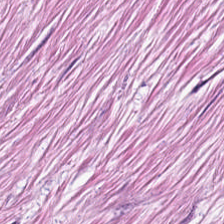Stain: H&E.
Predominant tissue: cancer-associated stroma.
